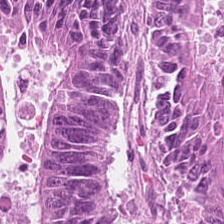Stain: H&E.
Tile size: 224×224 px tile.
Tissue type: adenocarcinoma.
